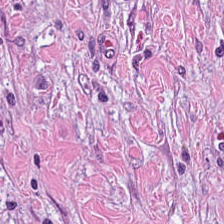Hematoxylin and eosin — The tissue type is tumor stroma.
